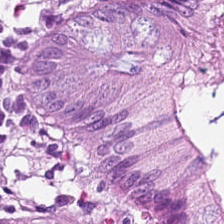Hematoxylin and eosin · 224×224 pixel tile. The tissue here is normal colon mucosa.
